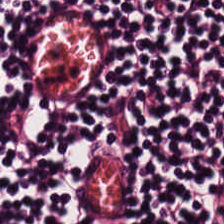Hematoxylin and eosin; 20× equivalent magnification — Predominantly lymphoid infiltrate.
